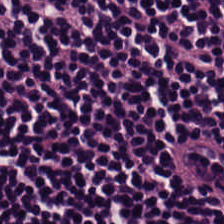H&E stain.
Tissue: lymphocyte aggregate.
